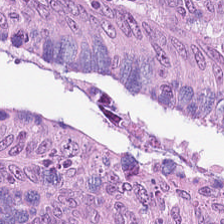Formalin-fixed paraffin-embedded section. H&E-stained tissue section. Whole-slide-image patch.
Predominant tissue: colorectal adenocarcinoma.
